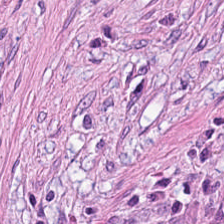FFPE tissue section; H&E stain. Predominantly tumor-associated stroma.
